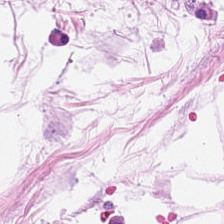This field is fat tissue.
